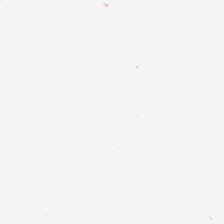Hematoxylin and eosin.
No tissue present; background only.
